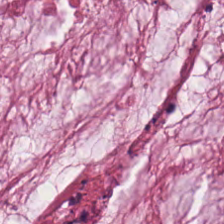H&E; 20× equivalent magnification; FFPE tissue section. Q: What is the predominant tissue type?
A: It is mucin.
